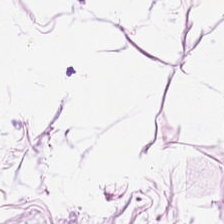Hematoxylin and eosin. Brightfield — Fat tissue.
